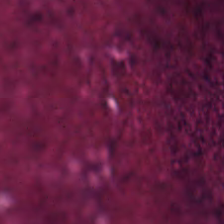Stain: H&E stain.
Tissue type: necrotic debris.
